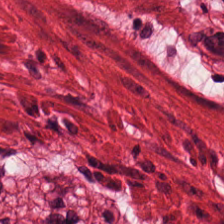FFPE tissue section. WSI patch. H&E stain — The tissue here is muscularis.
